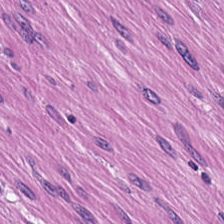Showing smooth-muscle tissue.
